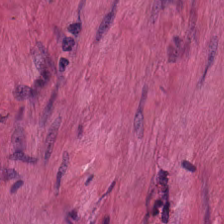H&E — Tissue: muscularis.
